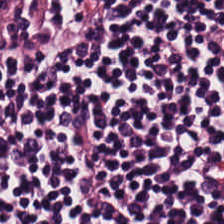H&E stain; FFPE. Finding — lymphoid infiltrate.
